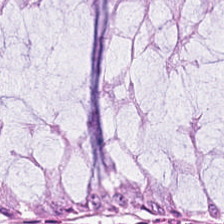H&E — Q: What is the predominant tissue type?
A: The field shows normal colon mucosa.
